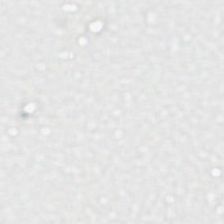Hematoxylin and eosin.
Impression — no tissue.
